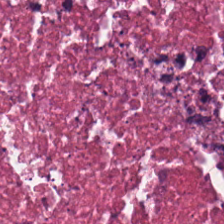Formalin-fixed paraffin-embedded section · 224×224 pixel tile · H&E-stained tissue section — The predominant tissue is necrotic debris.
